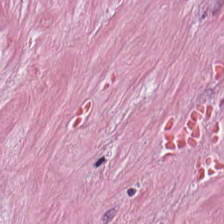H&E-stained section; the field shows tumor stroma.
